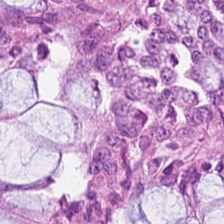224×224 pixel tile. Whole-slide-image patch. H&E-stained tissue section. Tissue class — benign colonic mucosa.
